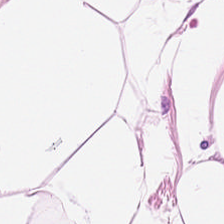H&E — fat tissue.
